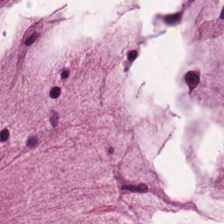FFPE. Hematoxylin and eosin.
Mucus.
